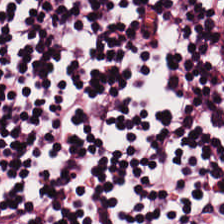H&E. Formalin-fixed paraffin-embedded section — Histology — lymphocytic infiltrate.
